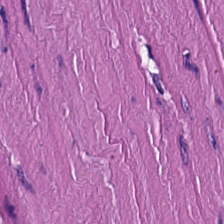Tissue type — smooth-muscle tissue.
